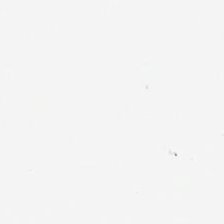This field is background (no tissue).
